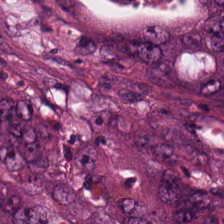H&E stain. The predominant tissue is adenocarcinoma.
